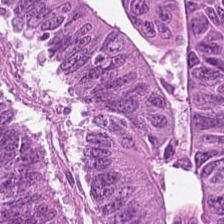H&E stain. Tissue type — colorectal adenocarcinoma.
